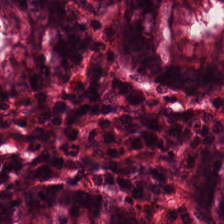Q: What is the predominant tissue type?
A: Normal colon mucosa.
